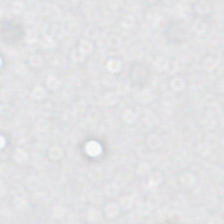Background.
